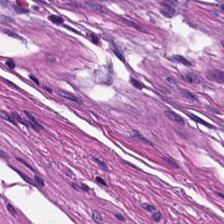Q: What tissue type is shown here?
A: This is smooth muscle.
